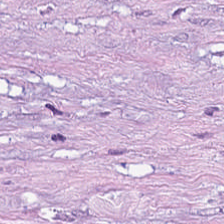H&E-stained tissue section · 224×224 px tile — Tissue type = cancer-associated stroma.
